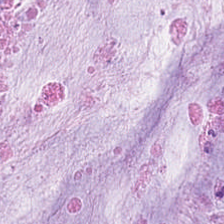Stain: H&E-stained tissue section.
Tile size: 224×224 pixel tile.
Tissue class: mucin.
